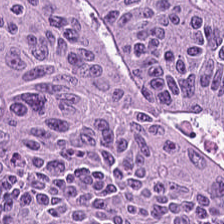Tissue = colorectal adenocarcinoma.
